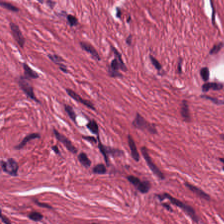H&E stain.
Predominantly cancer-associated stroma.
